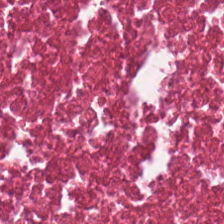Whole-slide-image patch. H&E. 0.5 µm/px — Histology — necrotic debris.
